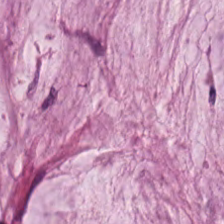Predominantly extracellular mucin.
